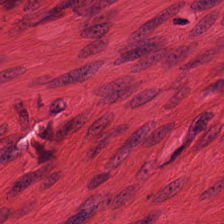H&E.
Q: What tissue type is shown here?
A: This is smooth-muscle tissue.
